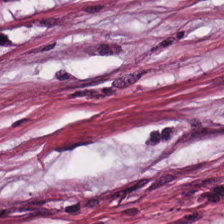Hematoxylin-and-eosin stained section.
Q: What is the predominant tissue type?
A: This is desmoplastic stroma.
